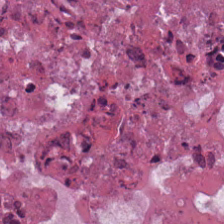Hematoxylin and eosin. The tissue is necrotic debris.
